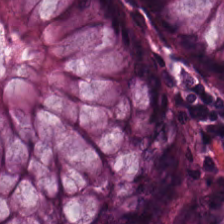H&E stain.
Normal colonic mucosa.
